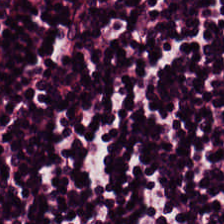Stain: hematoxylin-and-eosin stained section.
Resolution: 0.5 microns per pixel.
Tissue: lymphocyte aggregate.
